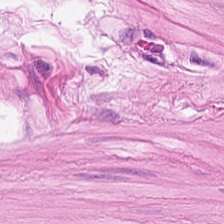Q: What type of tissue is this?
A: It is smooth-muscle tissue.
